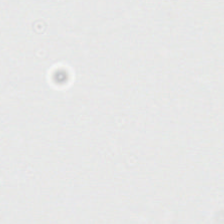Brightfield microscopy; H&E. No tissue.
